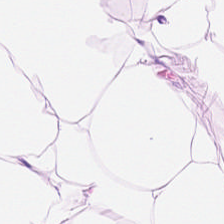Formalin-fixed paraffin-embedded section. H&E. 0.5 µm/px.
Adipose tissue.
